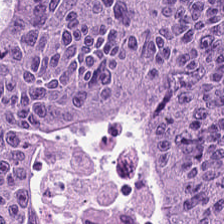H&E stain. Impression — colorectal adenocarcinoma epithelium.
